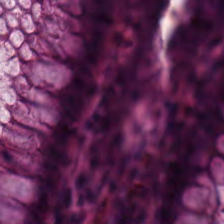Tissue class — normal colonic mucosa.
